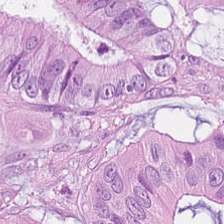Whole-slide-image patch · hematoxylin-and-eosin stained section.
Q: What is the predominant tissue type?
A: The field shows malignant epithelium.
